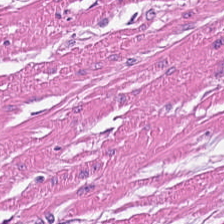Hematoxylin and eosin — Q: What is shown in this field?
A: Smooth muscle.
